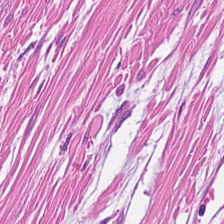0.5 µm/px; H&E stain; 224×224 px patch.
Tissue = muscularis.
